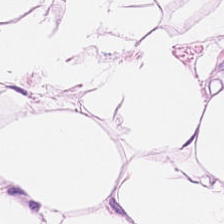FFPE tissue section; H&E.
Histology — adipocytes.
